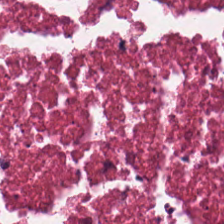H&E stain. The tissue class is debris.
